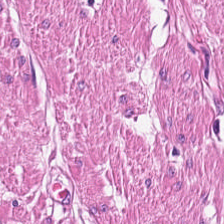H&E-stained tissue section.
Predominant tissue: muscularis.
